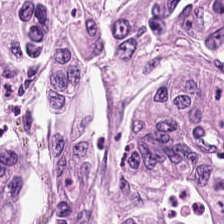Hematoxylin and eosin — The tissue here is colorectal adenocarcinoma.
